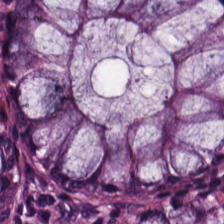H&E.
{"tissue_type": "normal colonic mucosa"}
